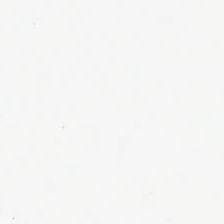H&E-stained tissue section. Background — no tissue in this field.
